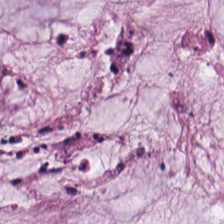Q: What tissue type is shown here?
A: This is extracellular mucin.
